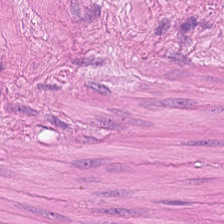224×224 pixel tile; 0.5 µm/px; hematoxylin and eosin. The tissue class is muscularis.
